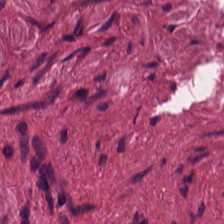H&E-stained tissue section.
Predominantly desmoplastic stroma.
